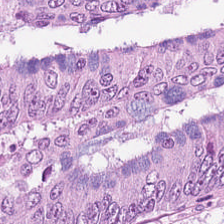The tissue class is tumor epithelium.
